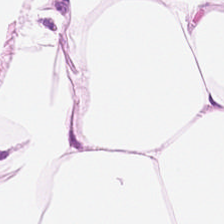Classification — adipocytes.
